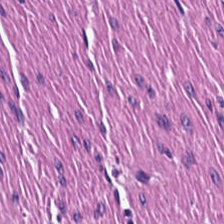{"tissue_type": "smooth-muscle tissue"}
